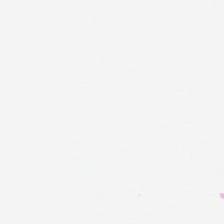H&E-stained tissue section · FFPE. The field content is background (no tissue).
